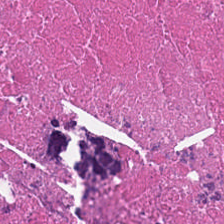224×224 px patch · FFPE tissue section · hematoxylin and eosin. Tissue: cellular debris.
